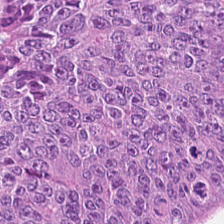H&E-stained tissue section.
The tissue here is tumor epithelium.
